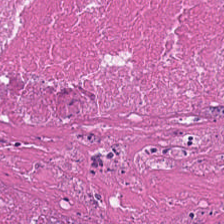Stain: H&E.
Classification: necrotic debris.
